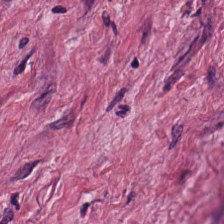H&E-stained tissue section · 224×224 px tile.
Tissue — tumor-associated stroma.
